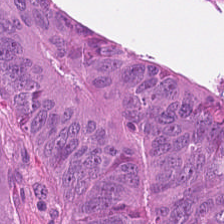Hematoxylin and eosin. Classification = malignant epithelium.
